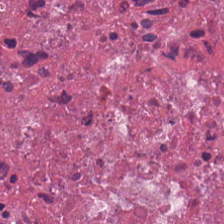224×224 px patch. H&E.
This field is necrotic debris.
